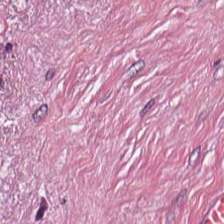Stain: hematoxylin and eosin.
Acquisition: whole-slide-image patch.
Classification: tumor-associated stroma.
